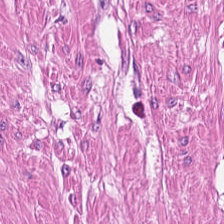H&E — muscularis.
